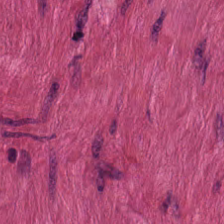Smooth-muscle tissue.
